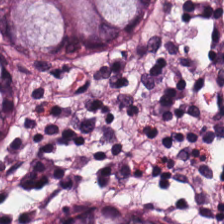H&E stain. The predominant tissue is normal colonic mucosa.
